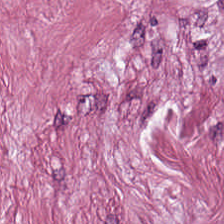WSI patch · H&E. The predominant tissue is cancer-associated stroma.
